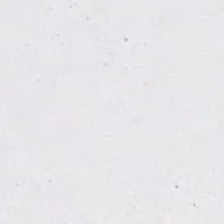H&E-stained tissue section. 0.5 µm/px. Formalin-fixed paraffin-embedded section.
Histology → background.
